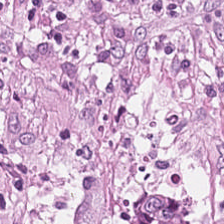WSI patch; FFPE tissue section; H&E-stained tissue section. Tumor-associated stroma.
